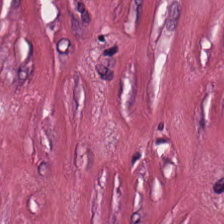H&E. FFPE.
Q: What type of tissue is this?
A: Tumor-associated stroma.
